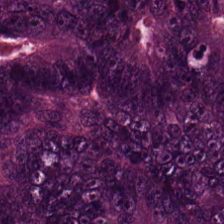H&E stain; brightfield. Predominantly colorectal adenocarcinoma.
